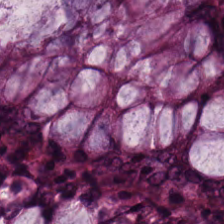FFPE tissue section · hematoxylin-and-eosin stained section — Impression → normal colonic mucosa.
